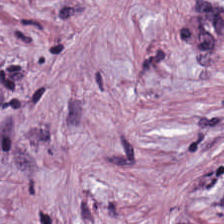FFPE tissue section · H&E-stained tissue section.
Impression — desmoplastic stroma.
